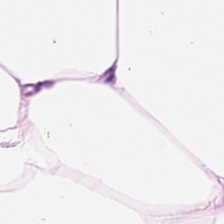H&E stain — Q: What is shown here?
A: Adipocytes.
